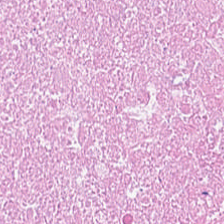This patch shows necrotic debris.
